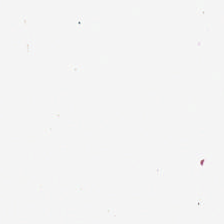Stain: hematoxylin and eosin.
Tile size: 224×224 px tile.
Classification: background.
